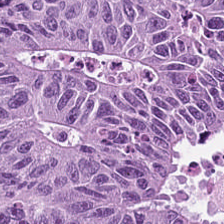Stain: H&E.
Tile size: 224×224 px tile.
Preparation: FFPE tissue section.
Tissue class: tumor epithelium.
